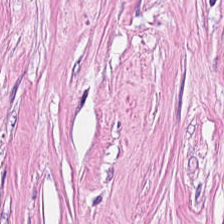0.5 microns per pixel; H&E-stained tissue section — This patch shows tumor-associated stroma.
